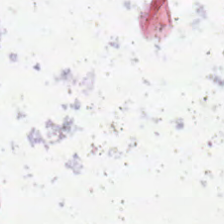H&E; formalin-fixed paraffin-embedded section; brightfield microscopy. No tissue.
